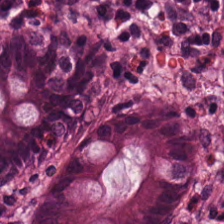H&E — The tissue here is benign colonic mucosa.
